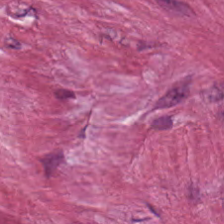The predominant tissue is tumor-associated stroma.
